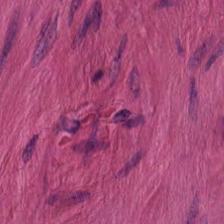FFPE. H&E-stained tissue section. WSI patch — Histology — smooth-muscle tissue.
